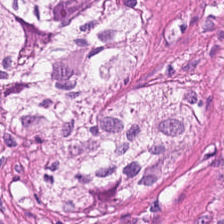Stain: hematoxylin and eosin.
Tissue: muscularis.
